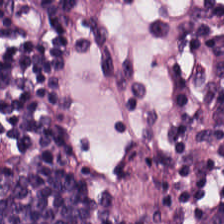H&E.
The tissue is lymphoid infiltrate.
